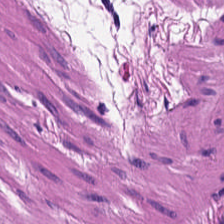0.5 µm/px · 224×224 px patch · H&E.
Predominantly smooth muscle.
